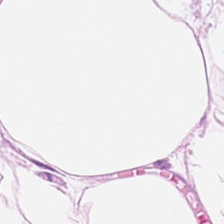224×224 px tile · H&E — This field is adipose tissue.
